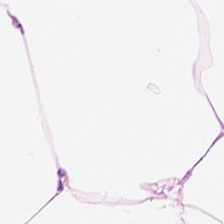H&E stain — The predominant tissue is adipose.
